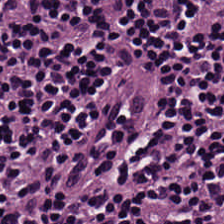This field is lymphocytic infiltrate.
